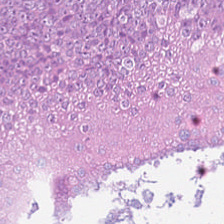{"tissue_type": "colorectal adenocarcinoma epithelium"}
